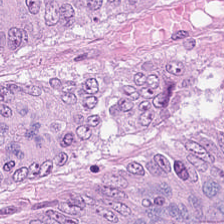H&E. The predominant tissue is adenocarcinoma.
